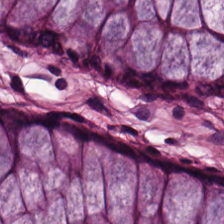Finding → non-neoplastic colon mucosa.
